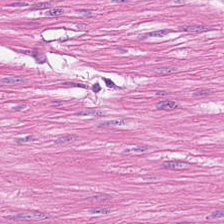H&E-stained tissue section; 224×224 px patch. Tissue class = muscularis.
